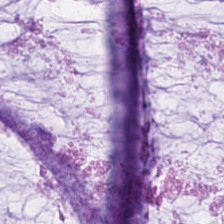Stain: hematoxylin and eosin.
Tile size: 224×224 pixel tile.
Resolution: 0.5 µm per pixel.
Tissue: mucus.
